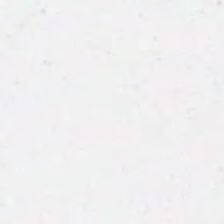Stain: H&E.
Content: background (no tissue).
